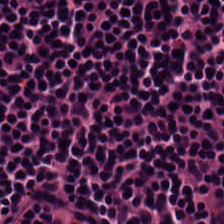Stain: H&E.
Preparation: FFPE tissue section.
Tissue: lymphoid infiltrate.
